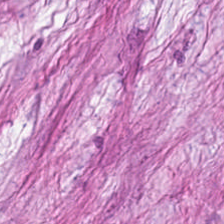H&E stain. Predominant tissue — desmoplastic stroma.
